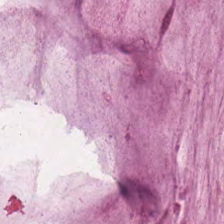H&E stain. {"tissue_type": "extracellular mucin"}
